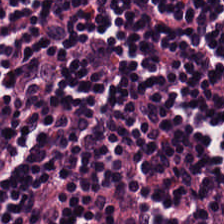Q: What is shown here?
A: It is lymphocyte aggregate.
